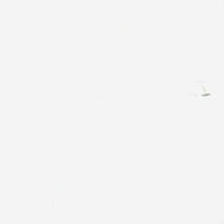224×224 px tile; H&E — Q: Classify this patch.
A: This is no tissue.
